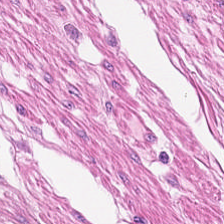Hematoxylin-and-eosin stained section. 224×224 px tile. Q: What does this patch show?
A: The field shows muscularis.
